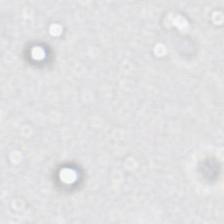H&E. Field content: background.
